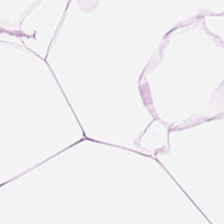0.5 µm per pixel; H&E-stained tissue section — Tissue = adipose tissue.
